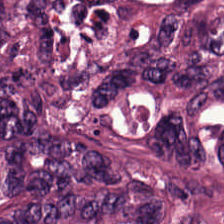Hematoxylin and eosin. The tissue here is colorectal adenocarcinoma.
